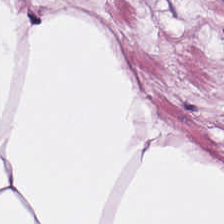H&E-stained tissue section. Q: What tissue is shown?
A: Adipose tissue.
